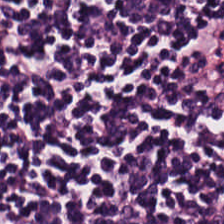Stain: hematoxylin and eosin.
Resolution: 0.5 µm per pixel.
Acquisition: brightfield.
Tissue: lymphoid infiltrate.
